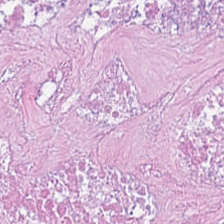Tissue type: debris.
